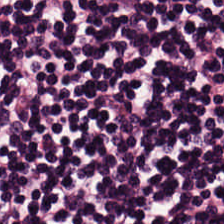H&E stain.
The predominant tissue is lymphocytes.
